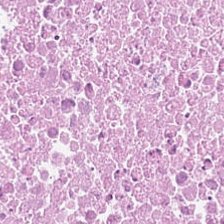H&E-stained tissue section showing cellular debris.
